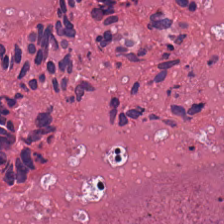Hematoxylin-and-eosin stained section. The tissue here is necrotic debris.
